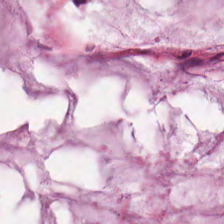H&E stain · 224×224 px patch.
The tissue class is extracellular mucin.
